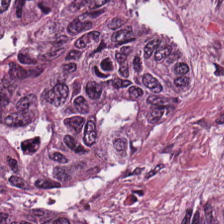H&E — colorectal adenocarcinoma epithelium.
